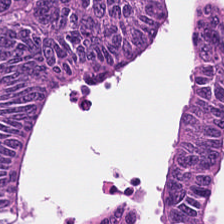Hematoxylin and eosin; brightfield. Showing malignant epithelium.
